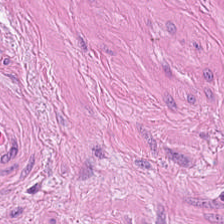H&E-stained tissue section — Q: Identify the tissue.
A: The field shows smooth muscle.
